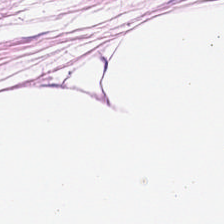Stain: hematoxylin and eosin.
Preparation: FFPE.
Classification: adipose.
